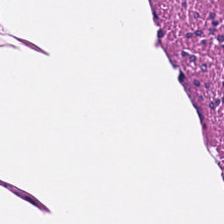WSI patch · FFPE tissue section · H&E-stained tissue section.
Finding → smooth muscle.
